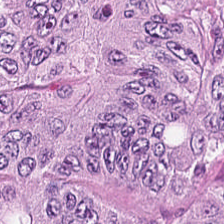Stain: H&E stain.
Acquisition: brightfield microscopy.
Tile size: 224×224 pixel tile.
Tissue class: malignant epithelium.
